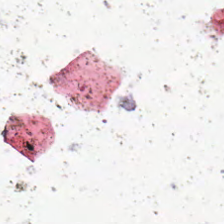H&E stain — Finding — background.
